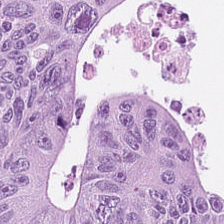FFPE tissue section. Hematoxylin and eosin. 20× equivalent magnification. This field is colorectal adenocarcinoma epithelium.
